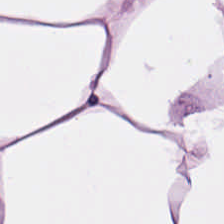WSI patch · H&E.
This patch shows adipose.
